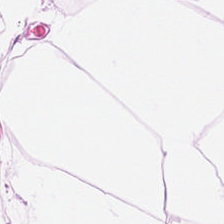H&E stain. Histology → fat tissue.
